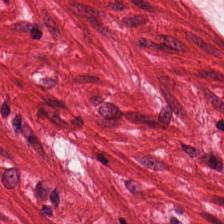224×224 px tile. FFPE tissue section. Hematoxylin-and-eosin stained section — Q: What is the predominant tissue type?
A: This is muscularis.
